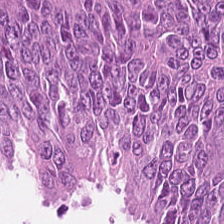Hematoxylin-and-eosin stained section.
Tissue class = adenocarcinoma.
